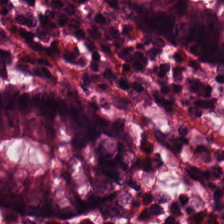H&E — non-neoplastic colon mucosa.
